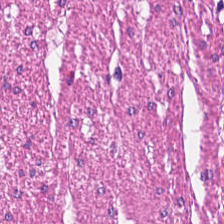H&E stain.
The predominant tissue is smooth muscle.
